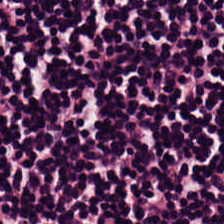Stain: H&E-stained tissue section.
Resolution: 0.5 µm per pixel.
Tile size: 224×224 px patch.
Classification: lymphocyte aggregate.
